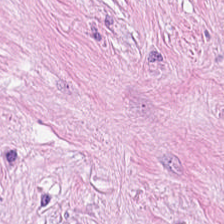Hematoxylin and eosin.
This field is desmoplastic stroma.
